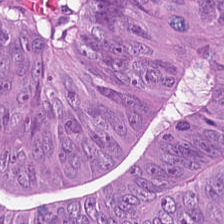FFPE tissue section. Hematoxylin and eosin.
The predominant tissue is colorectal adenocarcinoma.
